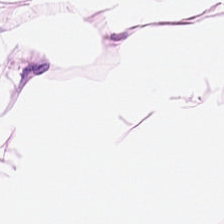Hematoxylin-and-eosin stained section. The tissue here is adipose.
